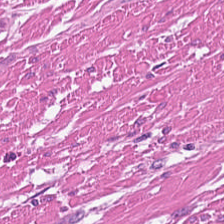H&E-stained tissue section · 224×224 px tile — The tissue is muscularis.
